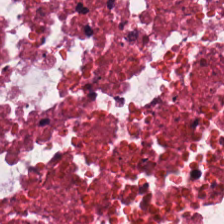Hematoxylin-and-eosin stained section · 0.5 µm/px.
The predominant tissue is necrotic debris.
